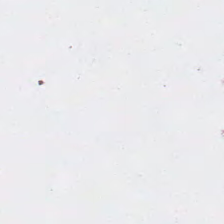Classification — background (no tissue).
